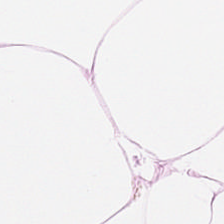Hematoxylin and eosin — Tissue — adipose tissue.
